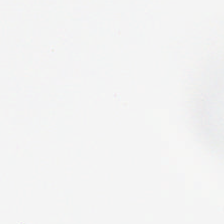Stain: H&E-stained tissue section.
Field content: empty background.
